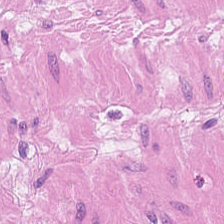H&E stain; brightfield.
Tissue type: smooth-muscle tissue.
